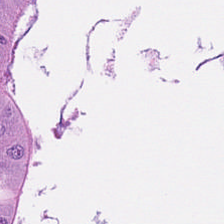224×224 pixel tile; H&E stain. Q: What is shown in this field?
A: This is tumor epithelium.
